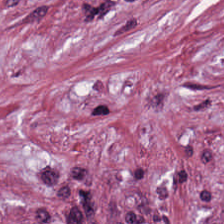WSI patch. H&E — Q: What is the predominant tissue type?
A: It is cancer-associated stroma.
